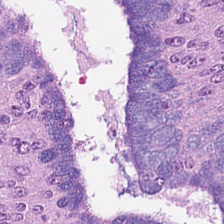H&E-stained tissue section — Predominant tissue: malignant epithelium.
